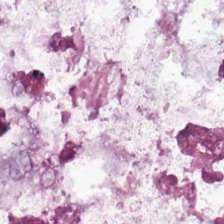FFPE tissue section · hematoxylin and eosin · 0.5 microns per pixel.
The predominant tissue is extracellular mucin.
